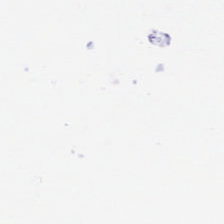Brightfield. 224×224 px tile. H&E stain — Q: What is shown in this field?
A: Empty background.
